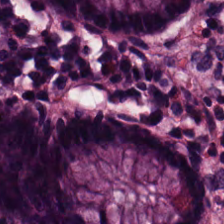H&E-stained tissue section · WSI patch — Finding → benign colonic mucosa.
